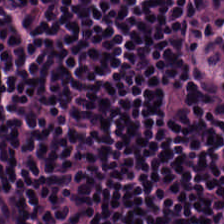H&E.
{"tissue_type": "lymphocytes"}
